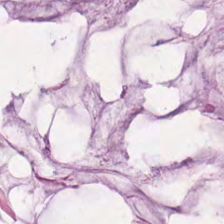Formalin-fixed paraffin-embedded section; 224×224 pixel tile; hematoxylin and eosin.
Q: Classify this patch.
A: It is mucin.
